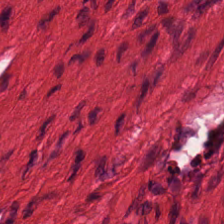Tissue class = smooth-muscle tissue.
